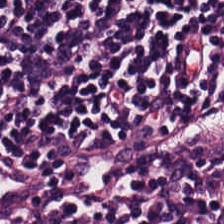0.5 µm per pixel. H&E.
The tissue here is lymphoid infiltrate.
